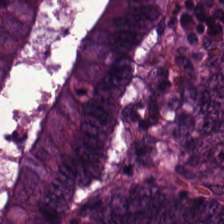Stain: H&E-stained tissue section.
Predominant tissue: colorectal adenocarcinoma epithelium.
